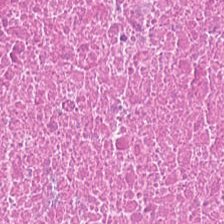Hematoxylin and eosin; brightfield. Q: What type of tissue is this?
A: This is necrotic debris.
